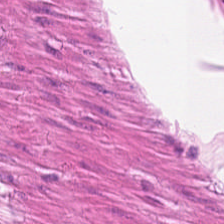The classification is smooth muscle.
